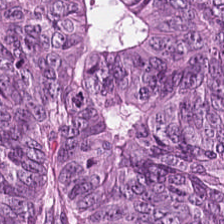Hematoxylin-and-eosin stained section · FFPE.
The predominant tissue is colorectal adenocarcinoma epithelium.
